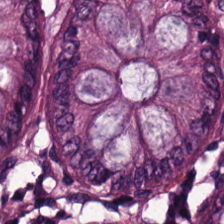H&E stain.
The tissue here is non-neoplastic colon mucosa.
